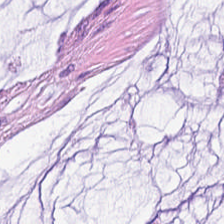Stain: H&E stain.
Classification: mucus.
